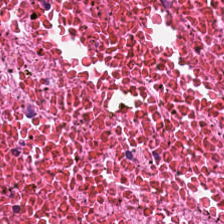Stain: H&E.
Predominant tissue: cellular debris.
